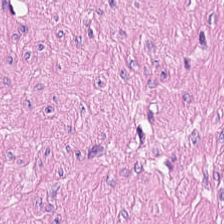Hematoxylin and eosin.
Tissue type — muscularis.
